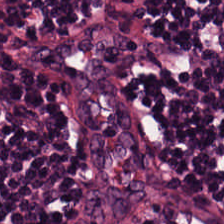Lymphocyte aggregate.
